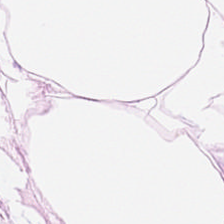H&E stain — Tissue — adipocytes.
